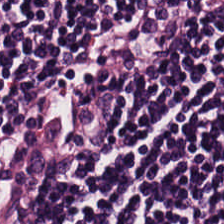Hematoxylin-and-eosin stained section. The tissue here is lymphocytes.
